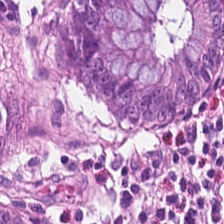224×224 px tile; H&E-stained tissue section.
Tissue = normal colonic mucosa.
